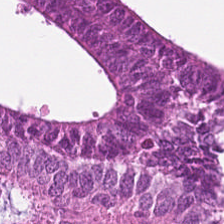Predominantly colorectal adenocarcinoma epithelium.
